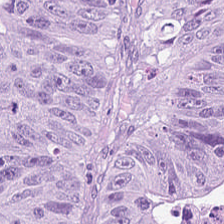WSI patch. Hematoxylin and eosin. FFPE. Q: What type of tissue is this?
A: The field shows tumor epithelium.
